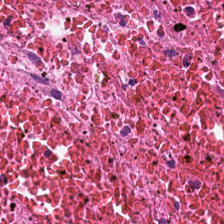Hematoxylin and eosin — Predominantly cellular debris.
